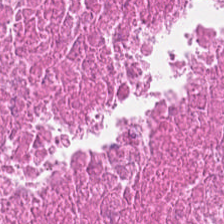H&E-stained tissue section showing debris.
